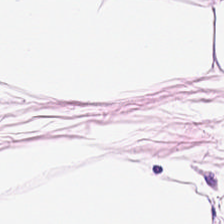FFPE; H&E — {"tissue_type": "adipose"}
